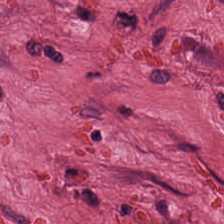Hematoxylin-and-eosin stained section — Q: What is shown in this field?
A: The field shows tumor stroma.
